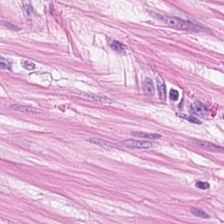Muscularis.
